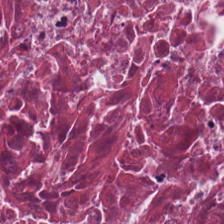20× equivalent magnification. Hematoxylin and eosin — Showing cellular debris.
